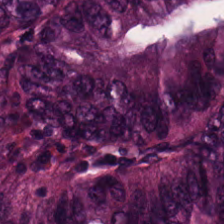Hematoxylin-and-eosin stained section — Tissue: colorectal adenocarcinoma epithelium.
